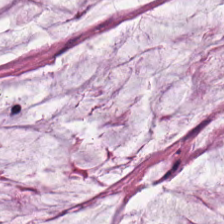WSI patch · H&E stain. Extracellular mucin.
